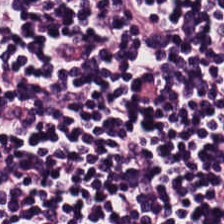Q: What type of tissue is this?
A: This is lymphocytic infiltrate.
